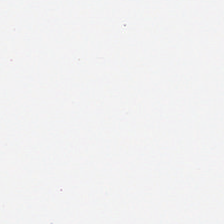H&E stain · FFPE tissue section.
Q: Classify this patch.
A: The field shows background.
